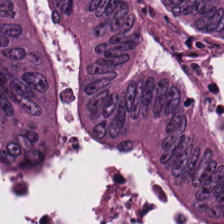Q: Identify the tissue.
A: Colorectal adenocarcinoma epithelium.
